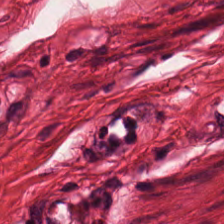H&E stain. This field is smooth muscle.
